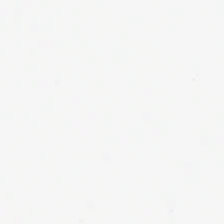Hematoxylin and eosin — Field content = background (no tissue).
